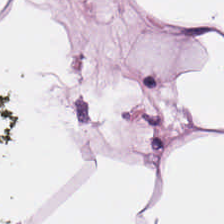Predominantly fat tissue.
